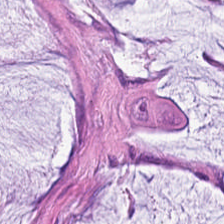H&E — Predominant tissue = extracellular mucin.
